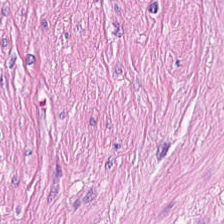Stain: hematoxylin and eosin.
Resolution: 0.5 microns per pixel.
Tile size: 224×224 px tile.
Tissue class: muscularis.
